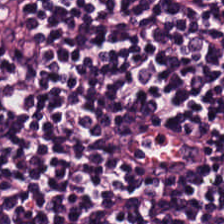H&E-stained tissue section. Q: What type of tissue is this?
A: The field shows lymphocyte aggregate.
